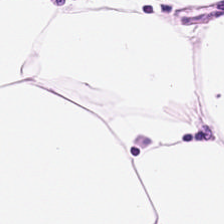Predominant tissue = adipose.
